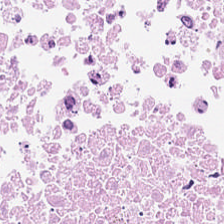Tissue = debris.
